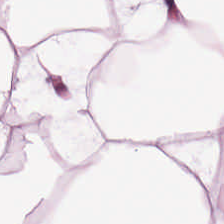H&E patch showing fat tissue.
